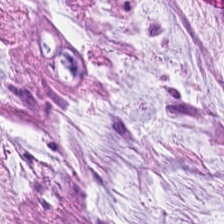Predominantly extracellular mucin.
